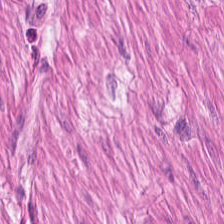Tissue: muscularis.
